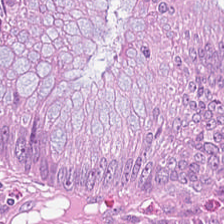H&E · 224×224 pixel tile. Colorectal adenocarcinoma.
